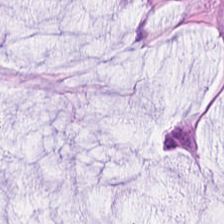H&E-stained tissue section showing extracellular mucin.
